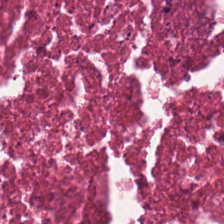H&E. Necrotic debris.
